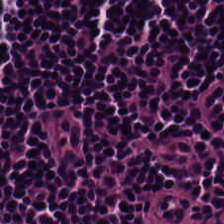The classification is lymphocytic infiltrate.
